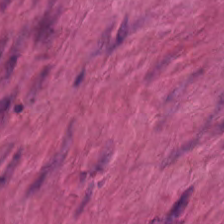H&E-stained tissue section. Q: What tissue is shown?
A: Smooth muscle.
